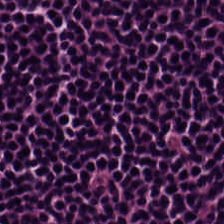224×224 px patch. Brightfield microscopy. H&E stain.
The predominant tissue is lymphocyte aggregate.
